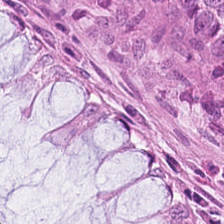Whole-slide-image patch · hematoxylin-and-eosin stained section. Classification: benign colonic mucosa.
